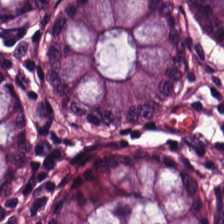Hematoxylin-and-eosin stained section. Tissue: non-neoplastic colon mucosa.
